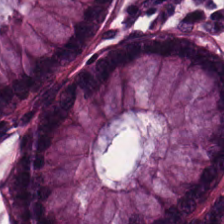Hematoxylin-and-eosin stained section.
Histology → non-neoplastic colon mucosa.
